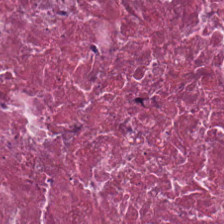Formalin-fixed paraffin-embedded section; H&E stain.
Showing necrotic debris.
